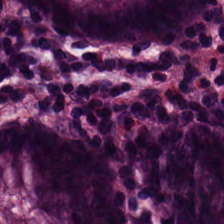Q: What is the predominant tissue type?
A: It is non-neoplastic colon mucosa.
